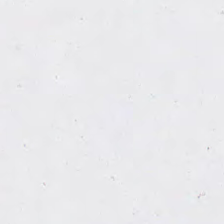H&E stain; FFPE. No tissue.
